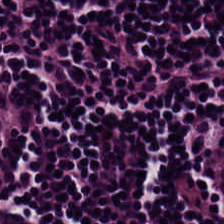H&E stain; formalin-fixed paraffin-embedded section; WSI patch. Classification: lymphoid infiltrate.
